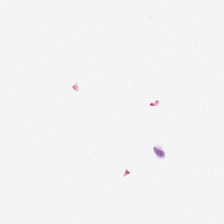Hematoxylin and eosin. Brightfield. No tissue present; background only.
